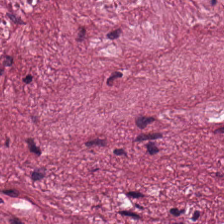H&E stain; 0.5 µm per pixel. Q: What tissue is shown?
A: Tumor-associated stroma.
